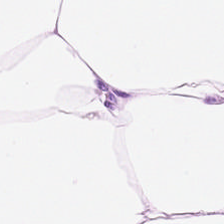H&E stain · 224×224 pixel tile. Q: Classify this patch.
A: This is adipocytes.
